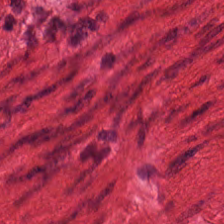H&E. Muscularis.
